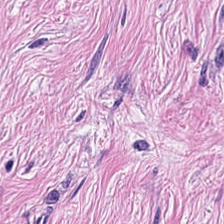H&E — tumor-associated stroma.
